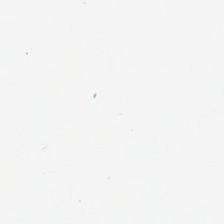H&E-stained tissue section. 224×224 px patch.
Histology — empty background.
